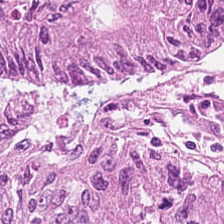H&E. Tissue class — colorectal adenocarcinoma epithelium.
